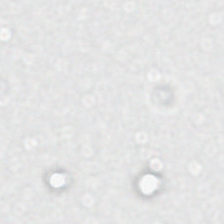H&E.
Empty field — no tissue.
